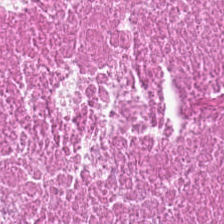Finding — necrotic debris.
